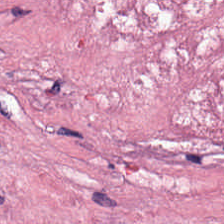FFPE tissue section; H&E.
Finding → cancer-associated stroma.
